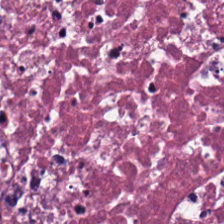H&E-stained tissue section — {"tissue_type": "debris"}
